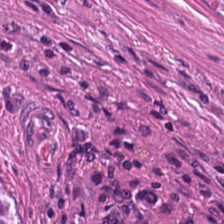H&E-stained tissue section — This patch shows extracellular mucin.
